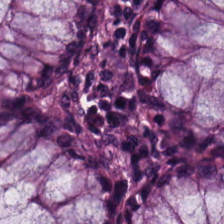Stain: H&E stain.
Resolution: 0.5 µm/px.
Classification: non-neoplastic colon mucosa.
